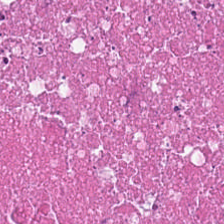Q: What type of tissue is this?
A: Necrotic debris.
